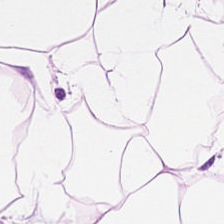H&E — Tissue class: adipose.
